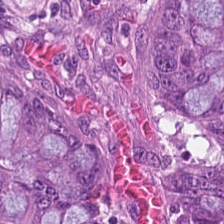Formalin-fixed paraffin-embedded section · hematoxylin and eosin · 0.5 microns per pixel.
Finding → adenocarcinoma.
